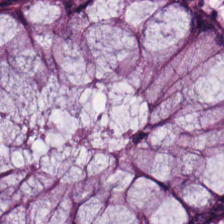224×224 px patch · hematoxylin-and-eosin stained section.
Q: What is the predominant tissue type?
A: The field shows non-neoplastic colon mucosa.
